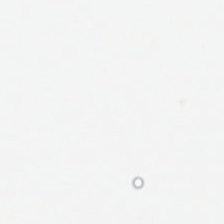H&E-stained tissue section — Empty background.
